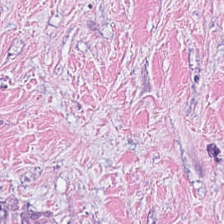Hematoxylin-and-eosin stained section. Q: What tissue is shown?
A: Tumor stroma.
